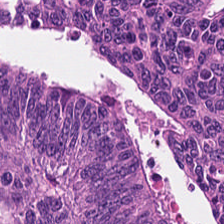H&E-stained tissue section — Q: What tissue is shown?
A: It is colorectal adenocarcinoma.
